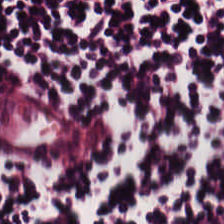Tissue type = lymphoid infiltrate.
